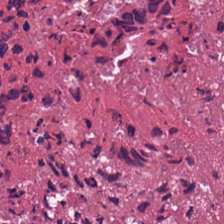H&E.
This patch shows cellular debris.
